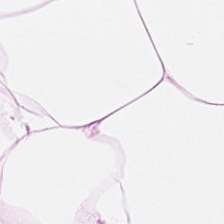The tissue is adipose.
